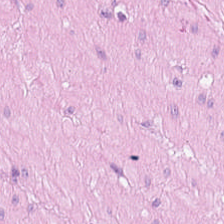Brightfield microscopy. Hematoxylin and eosin. 0.5 µm/px.
Histology — smooth-muscle tissue.
